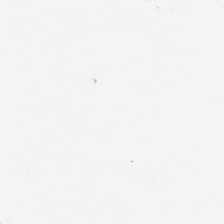H&E-stained tissue section · FFPE tissue section · whole-slide-image patch.
Empty field — background.
